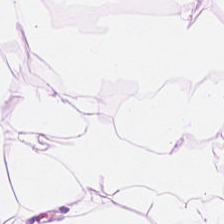Hematoxylin and eosin.
This field is adipocytes.
